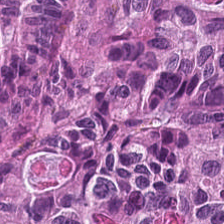Hematoxylin and eosin — Predominantly colorectal adenocarcinoma.
